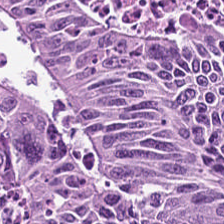H&E stain. This field is colorectal adenocarcinoma epithelium.
